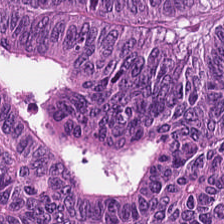Hematoxylin-and-eosin stained section. Finding → colorectal adenocarcinoma epithelium.
